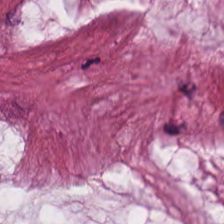FFPE. Hematoxylin and eosin. 224×224 pixel tile.
Tissue type: extracellular mucin.
